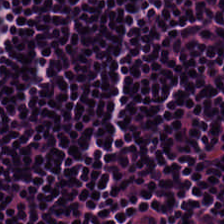224×224 pixel tile; H&E; FFPE.
Predominant tissue — lymphocyte aggregate.
